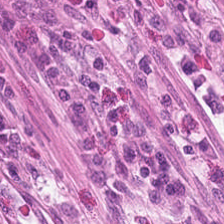H&E. Q: What tissue type is shown here?
A: This is non-neoplastic colon mucosa.
